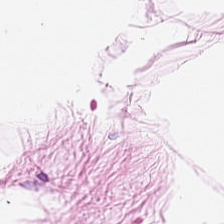H&E-stained tissue section; FFPE tissue section. Adipose.
